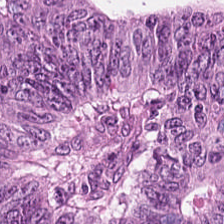H&E-stained tissue section; 0.5 µm/px.
This patch shows colorectal adenocarcinoma.
